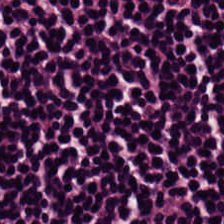H&E. 0.5 microns per pixel — Q: What tissue type is shown here?
A: Lymphocytic infiltrate.
